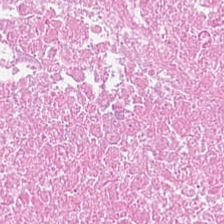Hematoxylin and eosin — Predominantly necrotic debris.
